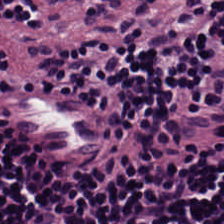Hematoxylin and eosin — Q: What does this patch show?
A: The field shows lymphocytic infiltrate.
